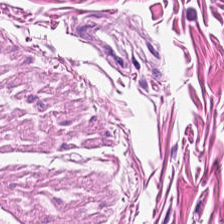H&E stain.
The predominant tissue is smooth muscle.
